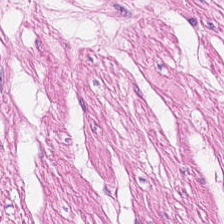Stain: H&E stain.
Classification: muscularis.
